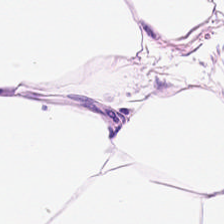FFPE; hematoxylin and eosin. Predominantly fat tissue.
